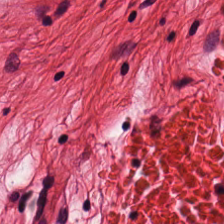H&E stain. 0.5 µm/px — Histology — muscularis.
